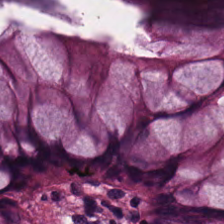H&E stain — Impression → normal colonic mucosa.
